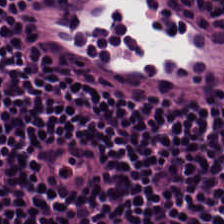Stain: H&E-stained tissue section.
Classification: lymphocytes.
